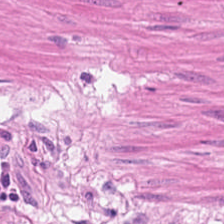Tissue type — smooth muscle.
